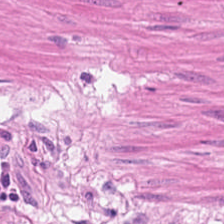Tissue type — smooth muscle.
